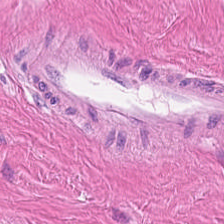Smooth-muscle tissue.
